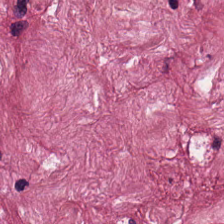H&E-stained tissue section.
Finding → desmoplastic stroma.
